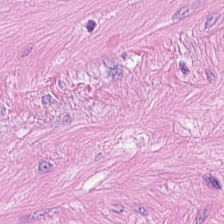0.5 µm/px; H&E-stained tissue section. Classification — smooth muscle.
